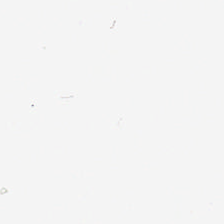H&E-stained tissue section.
Finding → background.
